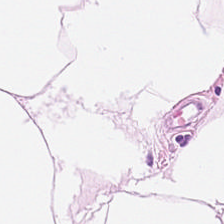Hematoxylin-and-eosin stained section · 224×224 pixel tile. Impression — adipocytes.
